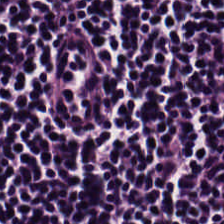H&E stain — Histology → lymphocyte aggregate.
